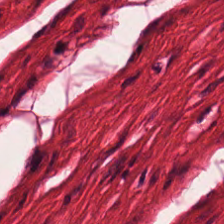FFPE tissue section. H&E stain — Tissue — muscularis.
